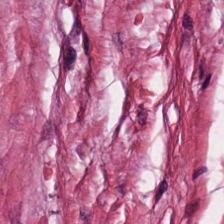FFPE tissue section · H&E stain.
Tissue — tumor-associated stroma.
